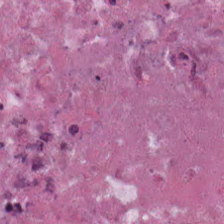The tissue is cellular debris.
